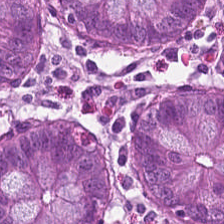Hematoxylin-and-eosin stained section.
Tissue = benign colonic mucosa.
